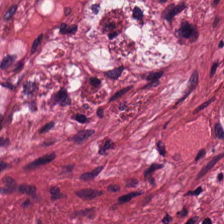224×224 px tile · H&E-stained tissue section — Showing tumor-associated stroma.
